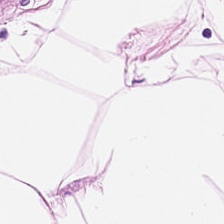Hematoxylin-and-eosin stained section — Histology → fat tissue.
